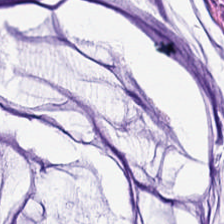0.5 microns per pixel · hematoxylin and eosin · formalin-fixed paraffin-embedded section — Tissue class: mucus.
